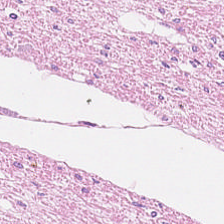Stain: H&E stain.
Resolution: 0.5 microns per pixel.
Predominant tissue: smooth-muscle tissue.
